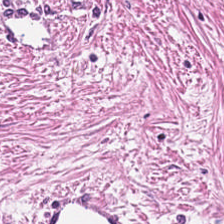Hematoxylin and eosin · 224×224 px tile — Predominant tissue — desmoplastic stroma.
